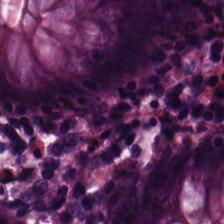Hematoxylin and eosin · brightfield · 0.5 microns per pixel.
The predominant tissue is normal colon mucosa.
